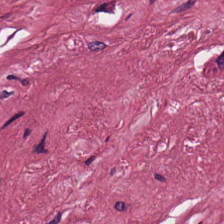Hematoxylin and eosin. Tissue type — tumor stroma.
